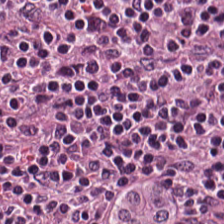20× equivalent magnification; H&E — Tissue class = lymphocytic infiltrate.
